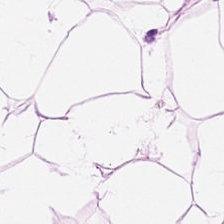H&E stain.
This patch shows fat tissue.
